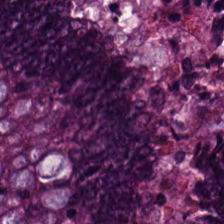Hematoxylin and eosin — This field is colorectal adenocarcinoma.
